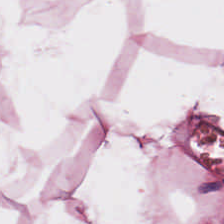FFPE tissue section · H&E stain · 224×224 px tile — Q: What tissue type is shown here?
A: The field shows adipose tissue.
